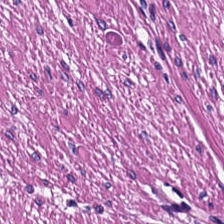H&E-stained section; the field shows smooth-muscle tissue.
